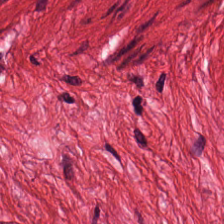Stain: hematoxylin-and-eosin stained section.
Classification: smooth-muscle tissue.
